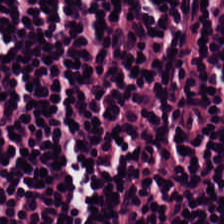Q: What is shown here?
A: It is lymphocytes.
